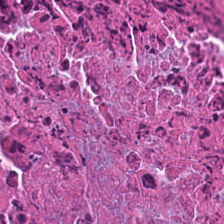Classification = debris.
